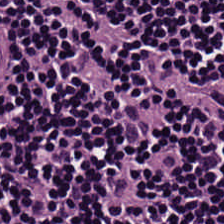Q: Classify this patch.
A: It is lymphoid infiltrate.
